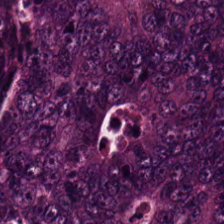Brightfield microscopy. Hematoxylin-and-eosin stained section — This field is tumor epithelium.
